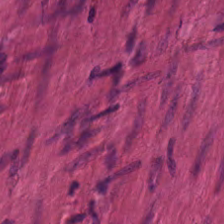Q: What does this patch show?
A: It is muscularis.
